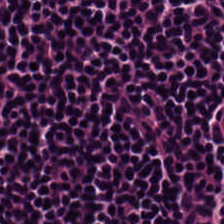H&E stain — Finding → lymphoid infiltrate.
